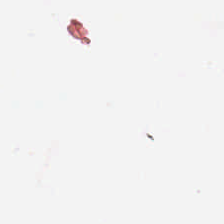H&E stain.
Background — no tissue in this field.
